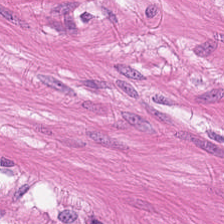224×224 px patch; hematoxylin and eosin — Impression — muscularis.
